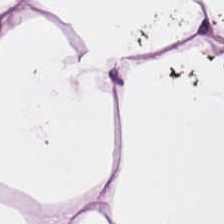20× equivalent magnification · H&E. Histology — adipose tissue.
